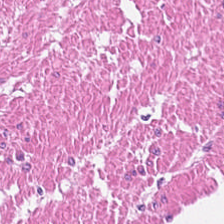The tissue is smooth-muscle tissue.
